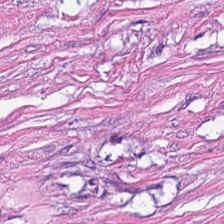Q: What is the predominant tissue type?
A: Tumor-associated stroma.
